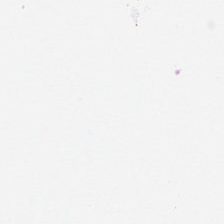Stain: hematoxylin and eosin.
Content: empty background.
